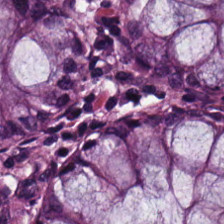H&E stain. Showing benign colonic mucosa.
